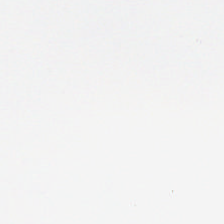Hematoxylin and eosin.
Classification — background.
